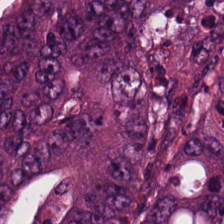Stain: H&E.
Predominant tissue: malignant epithelium.
